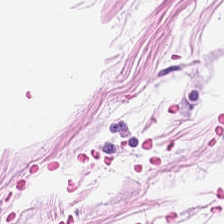224×224 pixel tile · H&E. Predominant tissue = fat tissue.
